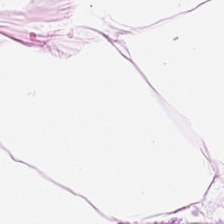H&E — Classification: adipose tissue.
